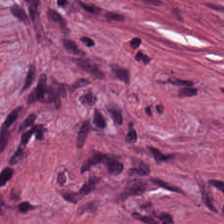Predominantly cancer-associated stroma.
